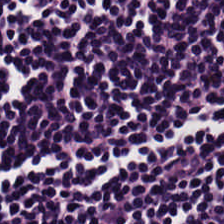This patch shows lymphocyte aggregate.
